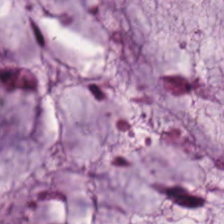Stain: H&E.
Tissue class: extracellular mucin.
